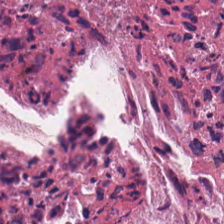Hematoxylin and eosin. 224×224 px tile.
Q: What tissue type is shown here?
A: Necrotic debris.
